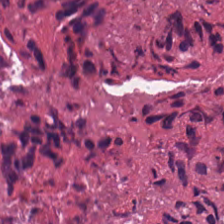Debris.
